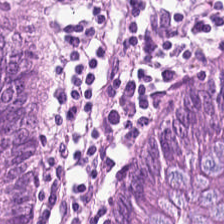H&E stain.
The tissue here is non-neoplastic colon mucosa.
